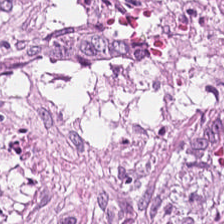0.5 µm/px · H&E-stained tissue section. Predominant tissue: desmoplastic stroma.
